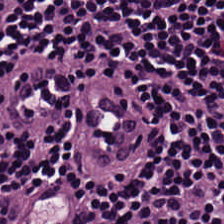224×224 px patch; H&E-stained tissue section. Lymphoid infiltrate.
